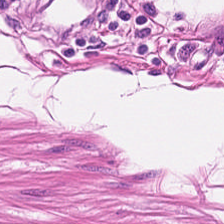H&E-stained tissue section.
Q: What type of tissue is this?
A: This is smooth muscle.
